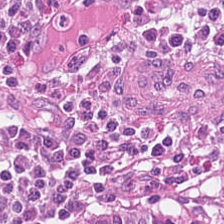Stain: H&E stain.
Resolution: 0.5 microns per pixel.
Classification: malignant epithelium.
